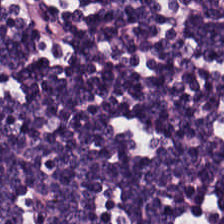0.5 µm per pixel · brightfield · H&E-stained tissue section. Predominantly lymphocyte aggregate.
